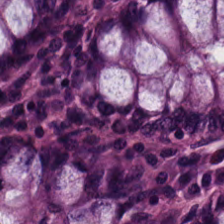Q: What is shown here?
A: The field shows benign colonic mucosa.
